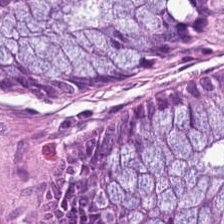Hematoxylin-and-eosin stained section; FFPE tissue section — Q: What does this patch show?
A: This is normal colon mucosa.
